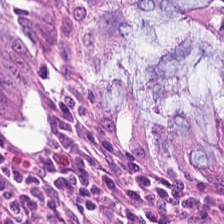Stain: hematoxylin-and-eosin stained section.
Tile size: 224×224 px tile.
Predominant tissue: normal colon mucosa.
